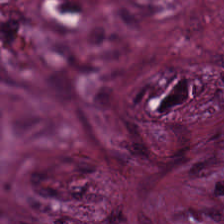H&E. FFPE — Classification — cancer-associated stroma.
